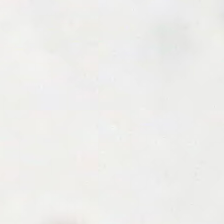H&E.
{"content": "empty background"}
